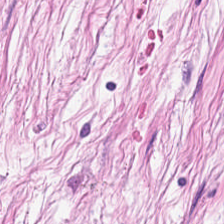H&E — cancer-associated stroma.
